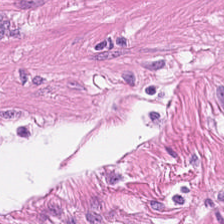Formalin-fixed paraffin-embedded section · H&E-stained tissue section · whole-slide-image patch. Classification = smooth-muscle tissue.
